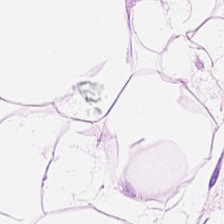Showing adipocytes.
